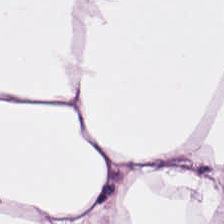H&E stain.
Tissue type — adipose tissue.
